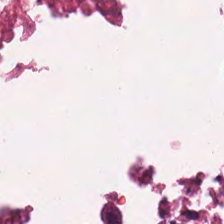H&E-stained tissue section. The predominant tissue is cellular debris.
